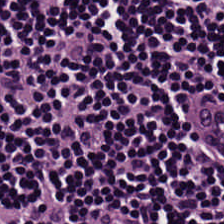H&E; 0.5 microns per pixel.
Impression → lymphoid infiltrate.
